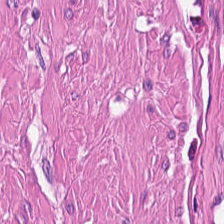Hematoxylin-and-eosin stained section. Whole-slide-image patch. 224×224 pixel tile.
Q: What tissue is shown?
A: It is smooth muscle.
